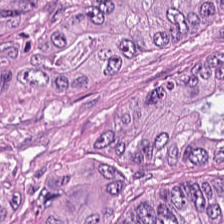Q: What tissue is shown?
A: It is adenocarcinoma.
